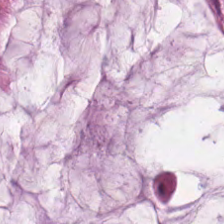H&E stain — Predominant tissue = mucus.
